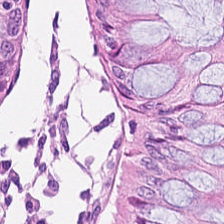H&E-stained tissue section — Q: What tissue type is shown here?
A: This is normal colon mucosa.
